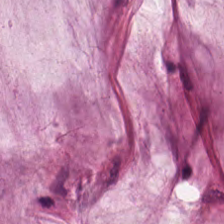This field is extracellular mucin.
